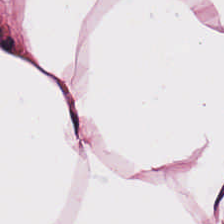Hematoxylin and eosin. Tissue class — adipocytes.
